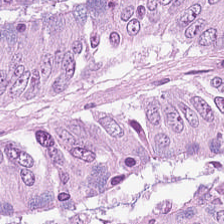Hematoxylin-and-eosin stained section.
Q: What tissue is shown?
A: It is tumor epithelium.
